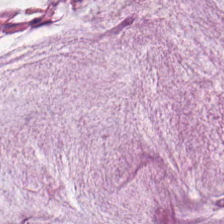Hematoxylin and eosin. Tissue = mucus.
